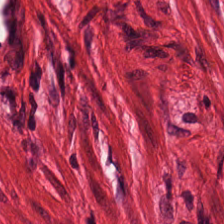Hematoxylin-and-eosin stained section. Q: What is the predominant tissue type?
A: The field shows muscularis.
